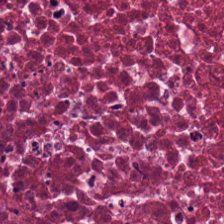H&E stain. Finding — debris.
